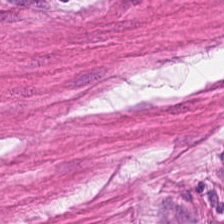H&E — Histology — smooth-muscle tissue.
